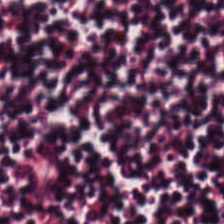Stain: H&E stain.
Tissue: lymphoid infiltrate.
